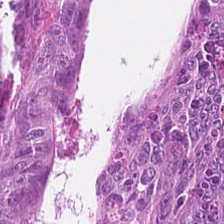Hematoxylin and eosin — The tissue here is colorectal adenocarcinoma epithelium.
